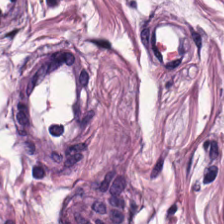224×224 px tile. H&E.
{"tissue_type": "smooth muscle"}
